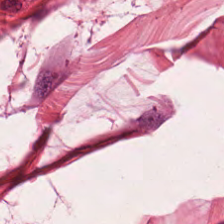Hematoxylin and eosin; 0.5 microns per pixel. Histology → smooth muscle.
